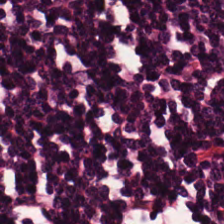Hematoxylin-and-eosin stained section. FFPE tissue section.
{"tissue_type": "lymphocytic infiltrate"}
